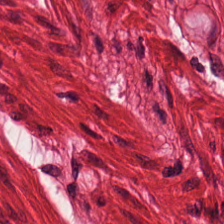Brightfield microscopy. 224×224 pixel tile. Hematoxylin-and-eosin stained section. Showing smooth muscle.
